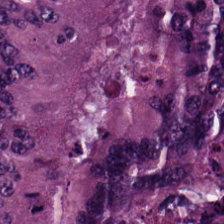H&E stain · 224×224 px patch — Tissue — adenocarcinoma.
